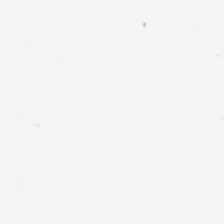Hematoxylin and eosin.
This patch shows empty background.
